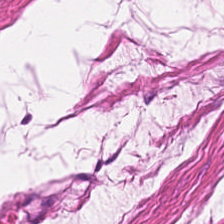H&E-stained tissue section. This patch shows muscularis.
